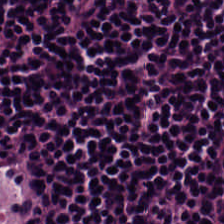Hematoxylin-and-eosin section: lymphocyte aggregate.
